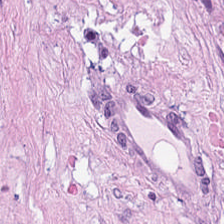H&E.
Histology → tumor stroma.
